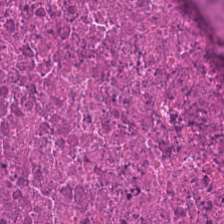The tissue here is cellular debris.
